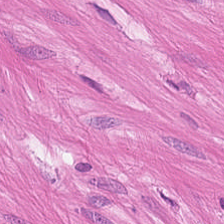H&E-stained tissue section.
Showing smooth-muscle tissue.
